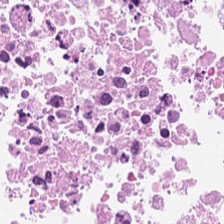The tissue here is necrotic debris.
